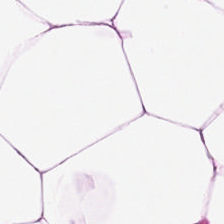H&E-stained tissue section.
Predominantly adipose.
